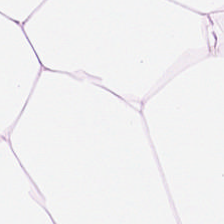Finding — adipocytes.
